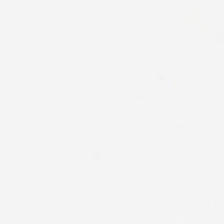The content is background (no tissue).
